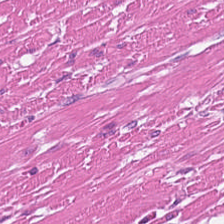{"tissue_type": "muscularis"}
